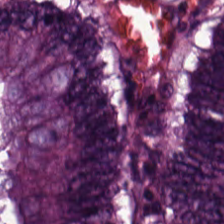H&E-stained tissue section.
Classification = adenocarcinoma.
